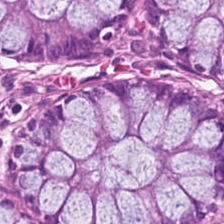Hematoxylin and eosin — Normal colonic mucosa.
